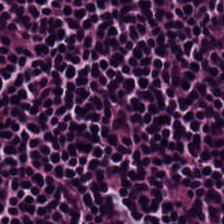H&E stain — Predominant tissue — lymphocytic infiltrate.
